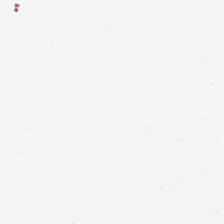Brightfield; FFPE tissue section; H&E-stained tissue section.
The field content is no tissue.
